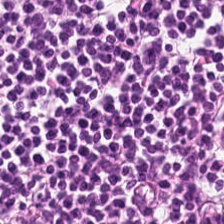Tissue class: lymphoid infiltrate.
